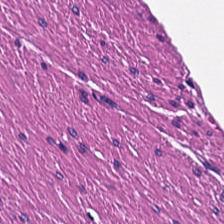H&E stain — Classification: smooth muscle.
